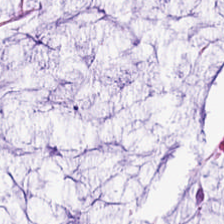Hematoxylin and eosin; whole-slide-image patch — This patch shows extracellular mucin.
